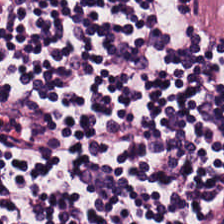Tissue = lymphocytic infiltrate.
